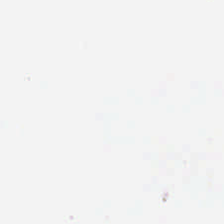H&E.
Empty field — no tissue.
